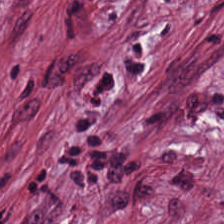224×224 px patch; H&E stain — This field is tumor-associated stroma.
